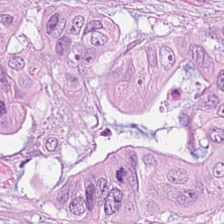The predominant tissue is tumor epithelium.
